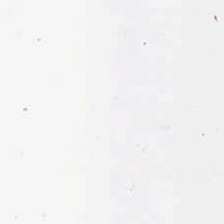Hematoxylin-and-eosin stained section. 224×224 pixel tile. 20× equivalent magnification — Content = background (no tissue).
